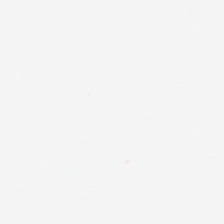224×224 px patch. H&E.
Classification = no tissue.
